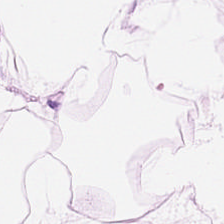FFPE · H&E.
Q: Classify this patch.
A: The field shows adipocytes.
